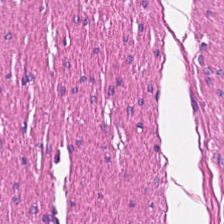Hematoxylin-and-eosin stained section. This field is smooth-muscle tissue.
